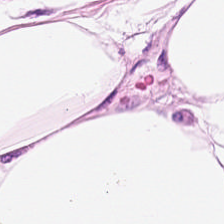FFPE; hematoxylin and eosin — Q: What does this patch show?
A: Adipose.
